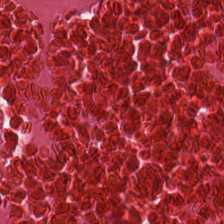Hematoxylin and eosin. Finding — necrotic debris.
